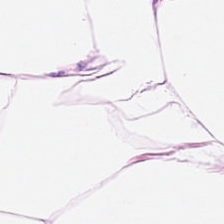H&E — Tissue: adipocytes.
